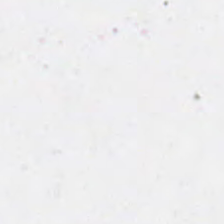Empty field — background.
